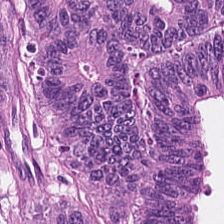H&E-stained tissue section. Whole-slide-image patch. Tissue type = malignant epithelium.
